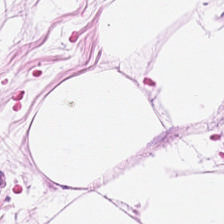H&E stain.
Tissue — adipose tissue.
